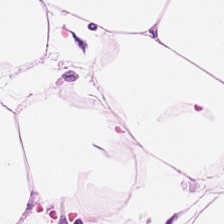H&E stain. Brightfield.
{"tissue_type": "adipose"}
